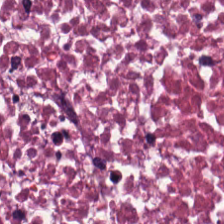Stain: H&E stain.
Tissue class: cellular debris.
